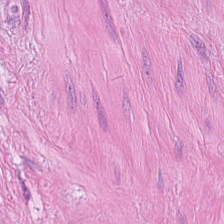Hematoxylin-and-eosin stained section; 0.5 microns per pixel. The tissue here is smooth muscle.
